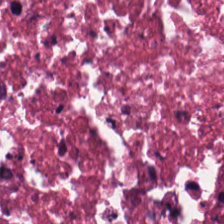Stain: hematoxylin-and-eosin stained section.
Tissue: debris.
